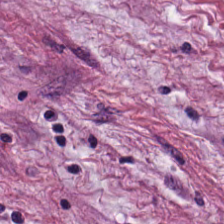H&E-stained tissue section — This field is desmoplastic stroma.
